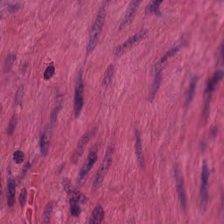Brightfield; hematoxylin-and-eosin stained section; 224×224 px tile.
The tissue type is smooth muscle.
